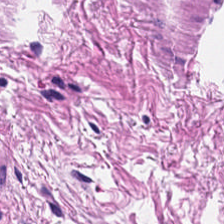Tissue type: muscularis.
